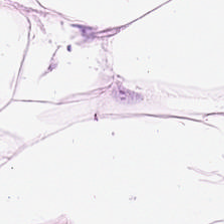This patch shows adipocytes.
